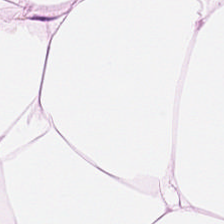Hematoxylin-and-eosin stained section.
Showing adipose.
